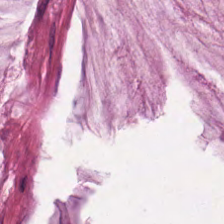H&E-stained tissue section.
The tissue here is mucus.
